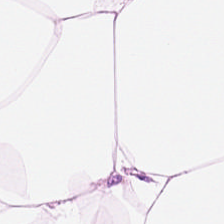0.5 µm per pixel; H&E-stained tissue section. The predominant tissue is adipocytes.
